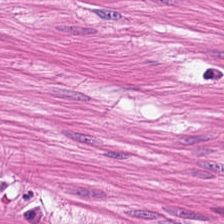0.5 µm per pixel · H&E — Impression → smooth-muscle tissue.
